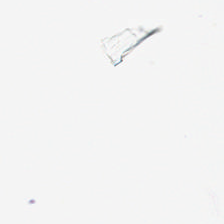H&E; brightfield; 224×224 pixel tile — Field content = background.
